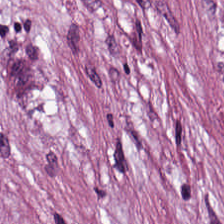Hematoxylin-and-eosin stained section. FFPE tissue section. Tissue class — tumor-associated stroma.
